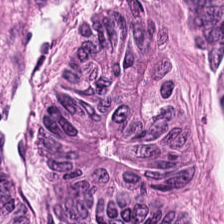H&E patch showing adenocarcinoma.
